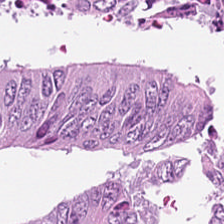Hematoxylin and eosin. Classification = malignant epithelium.
